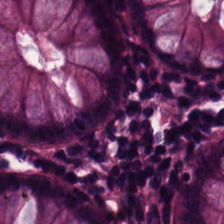Stain: H&E.
Tissue type: normal colon mucosa.
